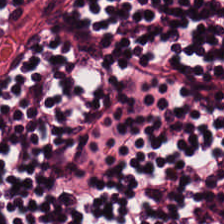224×224 pixel tile. H&E-stained tissue section. Predominant tissue: lymphocytic infiltrate.
